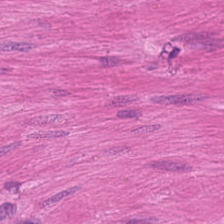This patch shows smooth muscle.
